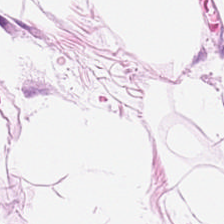224×224 px patch · H&E-stained tissue section — {"tissue_type": "adipocytes"}
